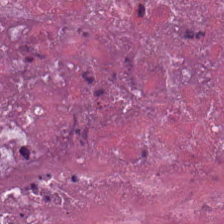Hematoxylin-and-eosin stained section. 224×224 px patch — Tissue — cellular debris.
